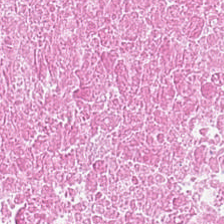224×224 px patch; 0.5 µm per pixel; H&E stain — Predominantly cellular debris.
